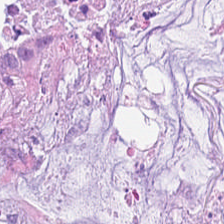H&E. Impression → mucin.
